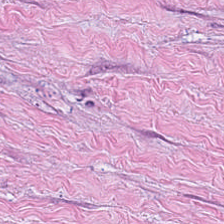224×224 px patch; H&E. {"tissue_type": "desmoplastic stroma"}
